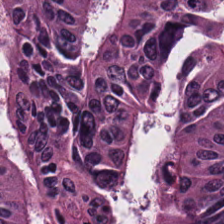H&E-stained tissue section; FFPE. Tissue class = colorectal adenocarcinoma epithelium.
